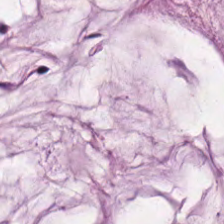H&E-stained tissue section. 224×224 pixel tile.
Histology — mucin.
